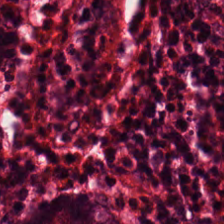0.5 µm per pixel; H&E stain.
Finding → normal colonic mucosa.
